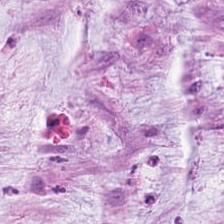FFPE; H&E stain — Impression — mucus.
